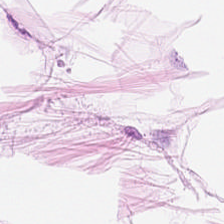{"tissue_type": "adipocytes"}
